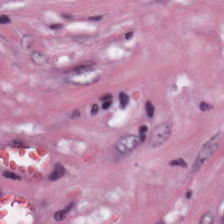Stain: H&E stain.
Tissue: cancer-associated stroma.
